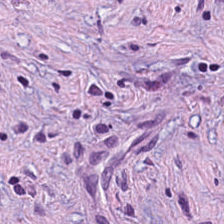0.5 microns per pixel. Hematoxylin-and-eosin stained section.
Finding — desmoplastic stroma.
